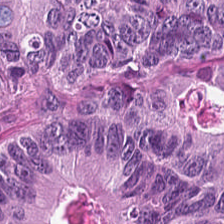Stain: hematoxylin and eosin.
Preparation: FFPE tissue section.
Resolution: 0.5 µm/px.
Classification: tumor epithelium.
